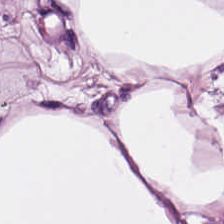Stain: hematoxylin-and-eosin stained section.
Classification: adipose tissue.
